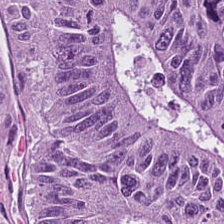H&E-stained tissue section — Tissue — colorectal adenocarcinoma.
